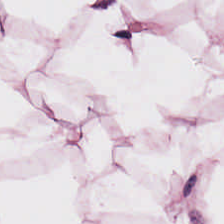{"tissue_type": "adipocytes"}
